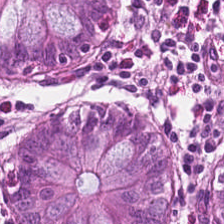224×224 px tile. H&E. FFPE. The tissue here is normal colonic mucosa.
